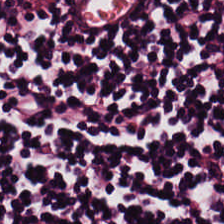FFPE tissue section; H&E stain; 224×224 px tile. Tissue class = lymphocytes.
